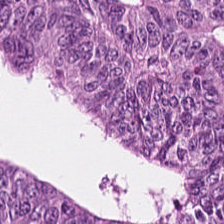H&E — The predominant tissue is malignant epithelium.
